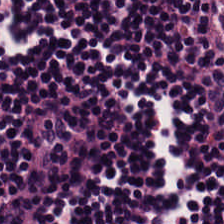H&E-stained tissue section.
Lymphocytic infiltrate.
